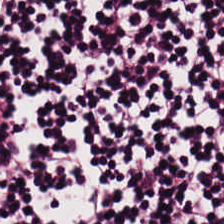0.5 µm/px; hematoxylin-and-eosin stained section.
This field is lymphoid infiltrate.
